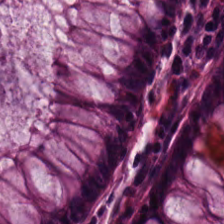The predominant tissue is non-neoplastic colon mucosa.
